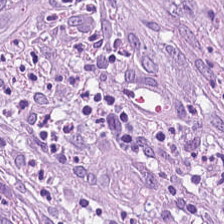Showing cancer-associated stroma.
